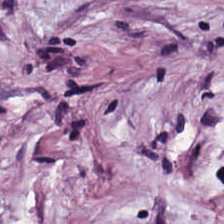Hematoxylin-and-eosin section: tumor-associated stroma.
